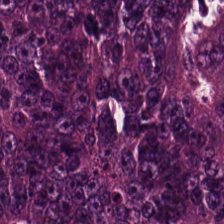Stain: hematoxylin-and-eosin stained section.
Tissue class: colorectal adenocarcinoma epithelium.
